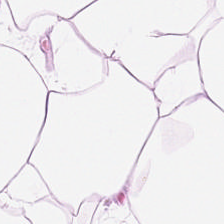H&E stain. 224×224 px tile.
Histology — adipocytes.
